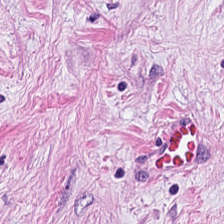Hematoxylin and eosin — Predominant tissue = tumor-associated stroma.
